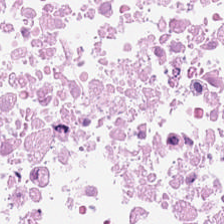Brightfield; H&E stain. The tissue here is debris.
